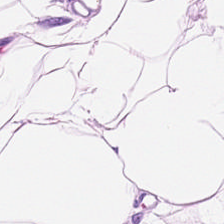H&E patch showing adipocytes.
